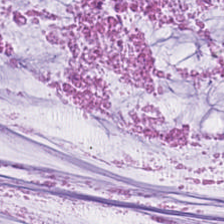Predominantly mucus.
